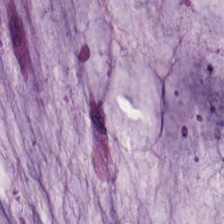H&E.
This patch shows extracellular mucin.
